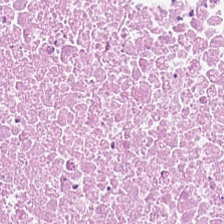Tissue type = cellular debris.
